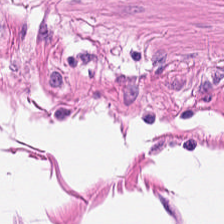Brightfield microscopy. Hematoxylin-and-eosin stained section. The classification is muscularis.
